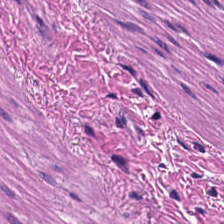H&E stain. Predominantly smooth-muscle tissue.
